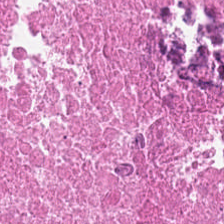Formalin-fixed paraffin-embedded section; H&E stain; 224×224 pixel tile — Predominant tissue — cellular debris.
